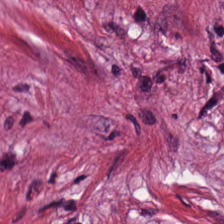Finding → cancer-associated stroma.
